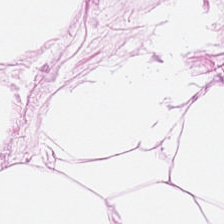Hematoxylin and eosin; FFPE tissue section.
This field is adipocytes.
